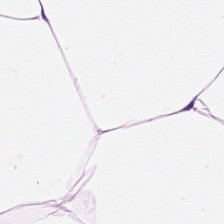H&E-stained tissue section; 0.5 microns per pixel; 224×224 px patch — Q: What tissue is shown?
A: This is fat tissue.
